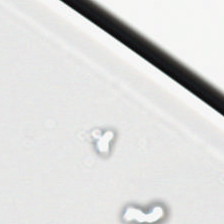H&E.
Field content — empty background.
